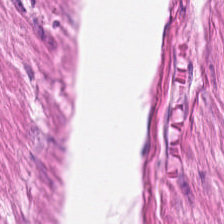FFPE tissue section · 0.5 microns per pixel · H&E-stained tissue section.
Smooth-muscle tissue.
